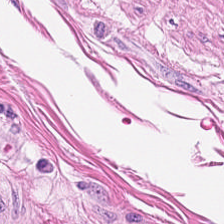0.5 microns per pixel; hematoxylin-and-eosin stained section. Impression → smooth muscle.
